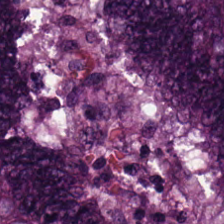H&E-stained tissue section.
{"tissue_type": "malignant epithelium"}
